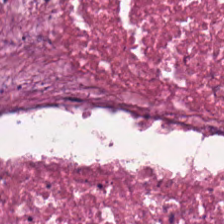The tissue is cellular debris.
